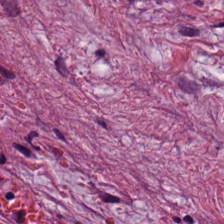Stain: hematoxylin-and-eosin stained section.
Classification: tumor-associated stroma.
